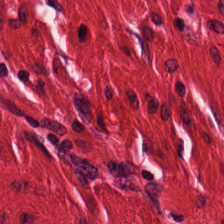224×224 pixel tile. Hematoxylin-and-eosin stained section — Tissue = smooth muscle.
